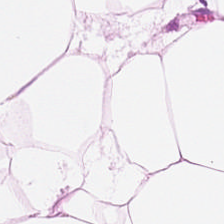H&E — adipose.
